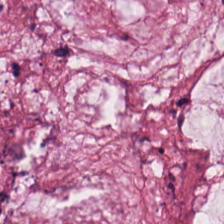Hematoxylin-and-eosin stained section — Tissue: mucus.
